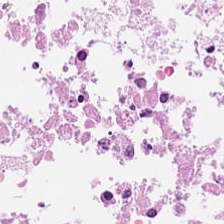H&E stain.
Predominantly cellular debris.
